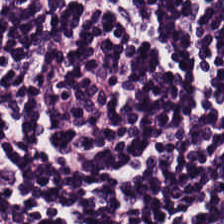Hematoxylin and eosin. Impression — lymphocytic infiltrate.
